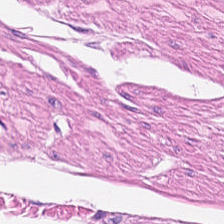Q: What tissue is shown?
A: It is smooth-muscle tissue.
